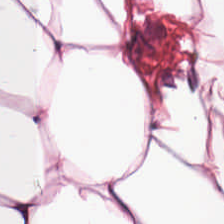H&E stain.
Predominantly adipose tissue.
